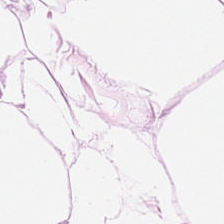H&E stain. The tissue is adipose tissue.
